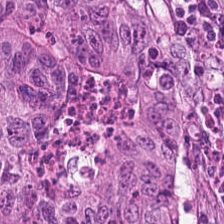H&E-stained tissue section — Finding — colorectal adenocarcinoma epithelium.
